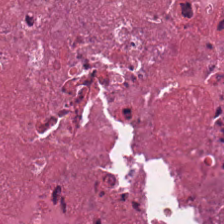H&E.
Classification — cellular debris.
